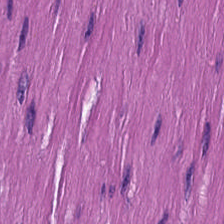H&E; 0.5 µm/px — Showing smooth-muscle tissue.
